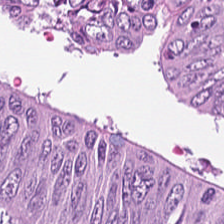Hematoxylin and eosin. Histology → colorectal adenocarcinoma epithelium.
